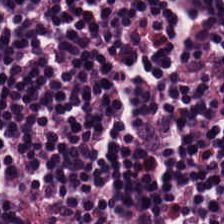20× equivalent magnification. Hematoxylin-and-eosin stained section.
Histology — lymphoid infiltrate.
